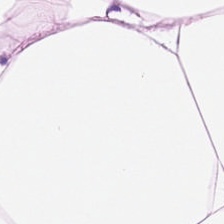224×224 px patch. Hematoxylin and eosin. Predominantly adipose tissue.
